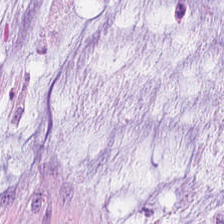Q: What does this patch show?
A: The field shows extracellular mucin.
